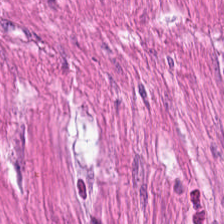H&E stain — This patch shows smooth-muscle tissue.
